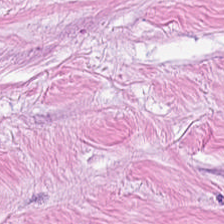Tissue class — desmoplastic stroma.
